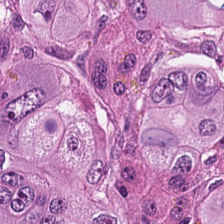Tissue type — adenocarcinoma.
